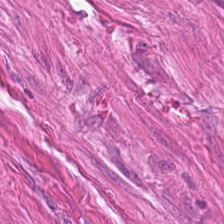Hematoxylin-and-eosin stained section.
Histology — muscularis.
